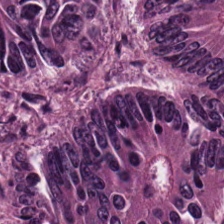Hematoxylin-and-eosin stained section — Q: Classify this patch.
A: It is colorectal adenocarcinoma epithelium.
